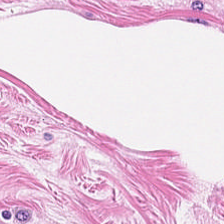H&E stain.
Impression → smooth-muscle tissue.
